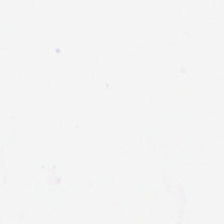Background — no tissue in this field.
